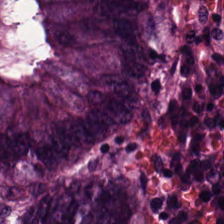20× equivalent magnification; H&E-stained tissue section. Predominantly colorectal adenocarcinoma epithelium.
